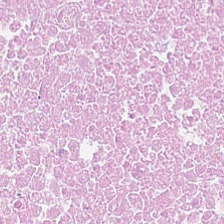Hematoxylin-and-eosin stained section. Q: Identify the tissue.
A: The field shows cellular debris.
